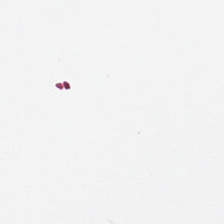224×224 px patch. Hematoxylin-and-eosin stained section. Q: What does this patch show?
A: This is background (no tissue).
